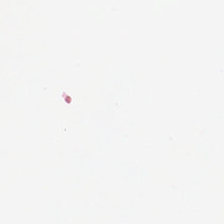H&E-stained tissue section. Empty field — background.
